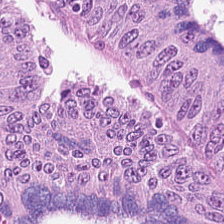Hematoxylin-and-eosin stained section; FFPE tissue section. Tissue — tumor epithelium.
